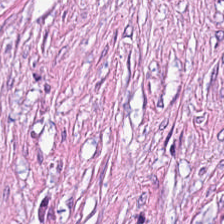H&E-stained tissue section — This patch shows tumor stroma.
